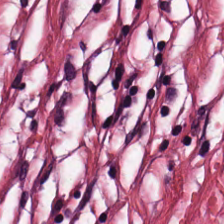FFPE; H&E-stained tissue section.
Impression → cancer-associated stroma.
